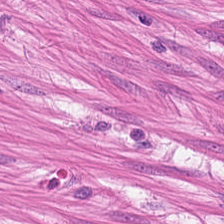H&E — muscularis.
